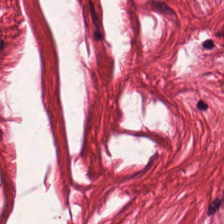{"tissue_type": "muscularis"}
